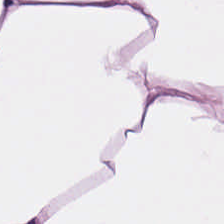Hematoxylin and eosin — The predominant tissue is adipose.
